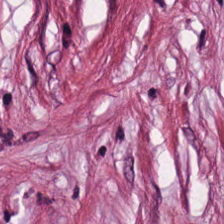Stain: hematoxylin-and-eosin stained section.
Tile size: 224×224 px patch.
Acquisition: WSI patch.
Tissue type: desmoplastic stroma.
